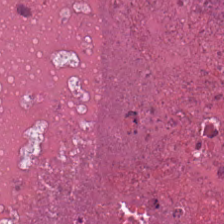224×224 px tile. Hematoxylin and eosin. Histology → necrotic debris.
